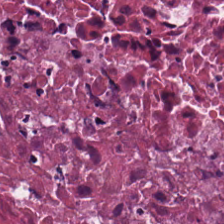Q: Identify the tissue.
A: The field shows debris.
